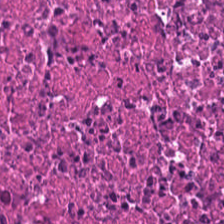WSI patch; H&E stain. Classification — debris.
